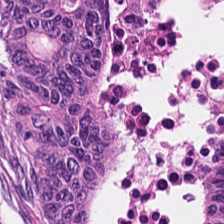Tissue = adenocarcinoma.
